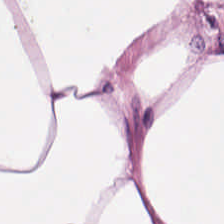Hematoxylin and eosin; 0.5 microns per pixel; 224×224 px tile — Tissue class = fat tissue.
